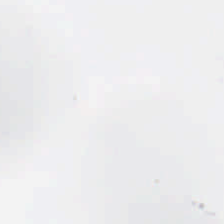Hematoxylin and eosin.
Content = background (no tissue).
